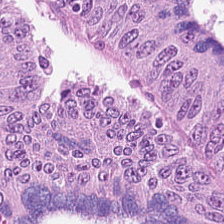H&E. Tissue type: tumor epithelium.
